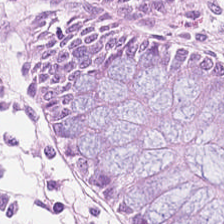H&E stain · 0.5 microns per pixel — Predominantly normal colonic mucosa.
